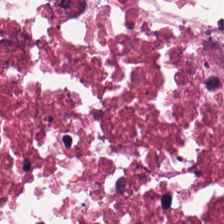Histology → necrotic debris.
